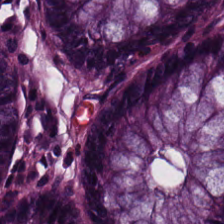Formalin-fixed paraffin-embedded section · H&E stain. The classification is normal colonic mucosa.
